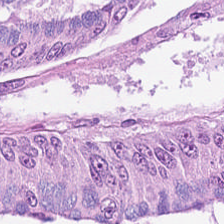Predominantly adenocarcinoma.
